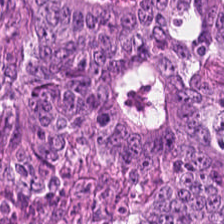224×224 px tile · formalin-fixed paraffin-embedded section · H&E-stained tissue section — Showing adenocarcinoma.
